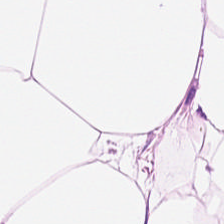This patch shows adipose tissue.
